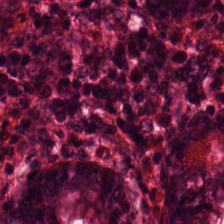Hematoxylin and eosin — Q: What tissue is shown?
A: This is benign colonic mucosa.
